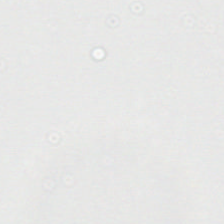H&E · 0.5 microns per pixel.
The content is background (no tissue).
